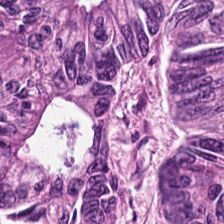H&E-stained tissue section.
Classification = adenocarcinoma.
